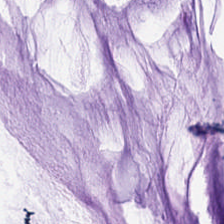H&E — Tissue class = mucin.
